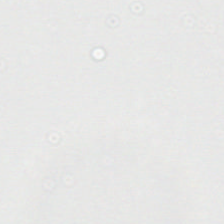FFPE tissue section · H&E · brightfield.
This field is background (no tissue).
